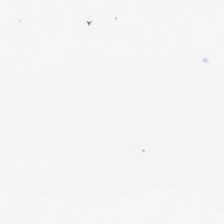H&E. No tissue present; background only.
